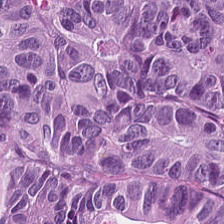Stain: hematoxylin and eosin.
Resolution: 0.5 microns per pixel.
Classification: colorectal adenocarcinoma.
